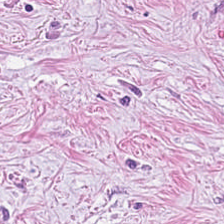H&E-stained section; the field shows tumor-associated stroma.
